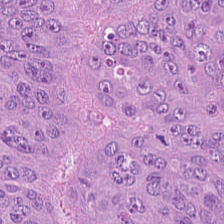Q: What is shown here?
A: It is adenocarcinoma.
